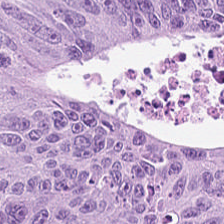Hematoxylin-and-eosin stained section. Classification: malignant epithelium.
